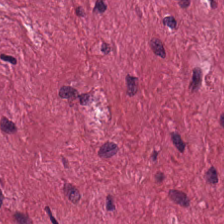Tissue type = tumor-associated stroma.
